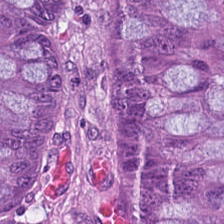Q: Identify the tissue.
A: The field shows malignant epithelium.
